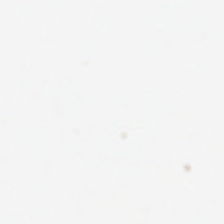H&E-stained tissue section — Finding — background.
